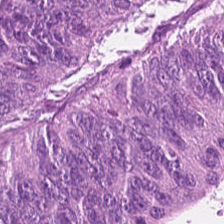H&E-stained section; the field shows colorectal adenocarcinoma epithelium.
